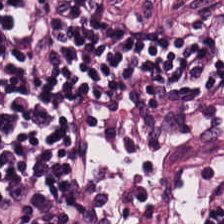WSI patch · 224×224 px patch · H&E stain. Histology → lymphocyte aggregate.
